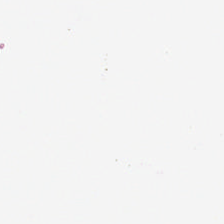Field content = empty background.
